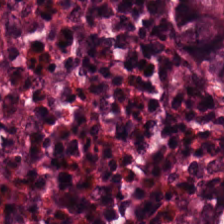H&E stain. 224×224 px patch. Formalin-fixed paraffin-embedded section. Tissue = benign colonic mucosa.
